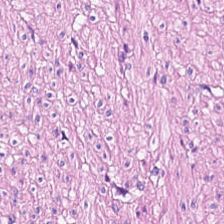WSI patch. H&E-stained tissue section — This patch shows smooth-muscle tissue.
